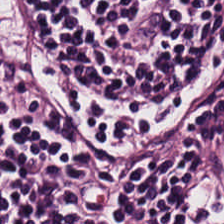Formalin-fixed paraffin-embedded section · hematoxylin and eosin.
The tissue is lymphoid infiltrate.
